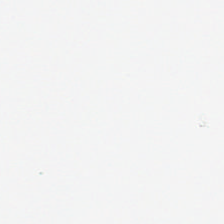224×224 px tile. Hematoxylin-and-eosin stained section. Classification — empty background.
